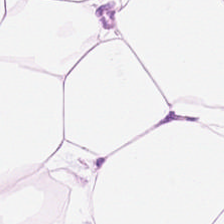H&E. Q: Identify the tissue.
A: The field shows adipose tissue.
